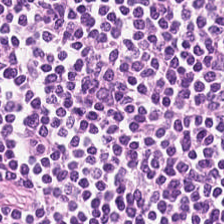H&E stain — {"tissue_type": "lymphocyte aggregate"}
